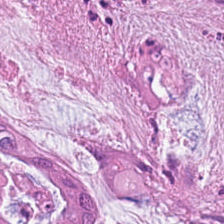Hematoxylin-and-eosin stained section — Q: What tissue type is shown here?
A: This is extracellular mucin.
